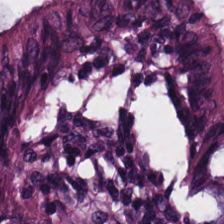WSI patch; hematoxylin and eosin. Tissue type = normal colon mucosa.
